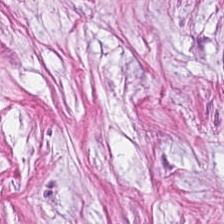Stain: hematoxylin and eosin.
Predominant tissue: tumor-associated stroma.
